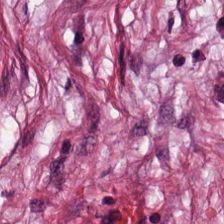Hematoxylin and eosin. 224×224 pixel tile.
Q: What tissue is shown?
A: Cancer-associated stroma.
